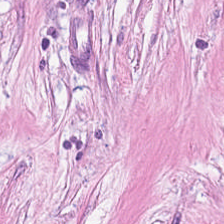H&E stain. 224×224 pixel tile.
Histology → tumor-associated stroma.
